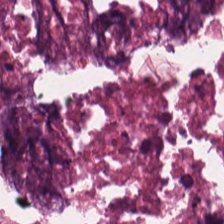Stain: H&E-stained tissue section.
Predominant tissue: necrotic debris.
